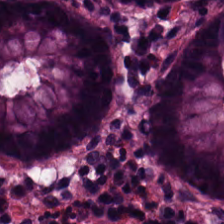H&E. Predominantly normal colon mucosa.
